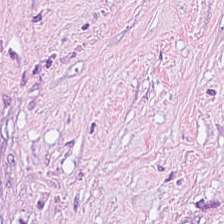Hematoxylin-and-eosin section: cancer-associated stroma.
